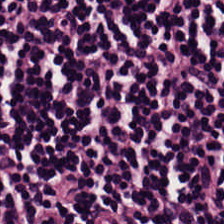FFPE · 224×224 px patch · H&E-stained tissue section. The tissue here is lymphocytes.
